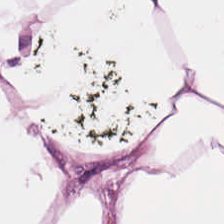FFPE · hematoxylin-and-eosin stained section. Finding → adipocytes.
